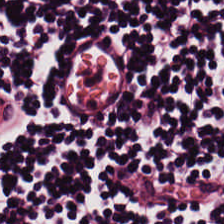H&E-stained tissue section — The predominant tissue is lymphocytes.
